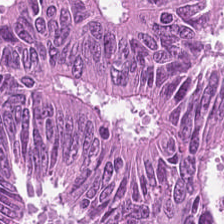H&E-stained section; the field shows colorectal adenocarcinoma.
